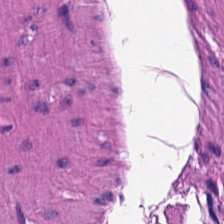H&E-stained tissue section. Predominantly muscularis.
